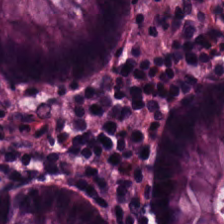0.5 µm/px; H&E stain. Q: What is shown in this field?
A: It is non-neoplastic colon mucosa.
